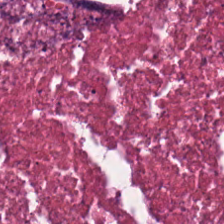H&E-stained tissue section; FFPE; 224×224 px tile.
Q: Classify this patch.
A: It is necrotic debris.
